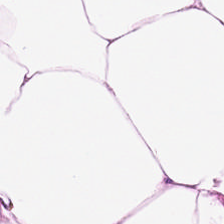0.5 µm per pixel · H&E stain · FFPE. Impression → adipose tissue.
